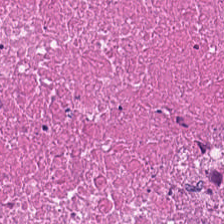224×224 px patch. Hematoxylin and eosin — Predominant tissue: necrotic debris.
